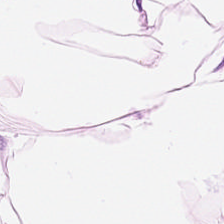H&E stain.
Predominantly adipocytes.
